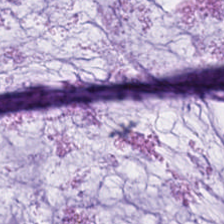H&E stain. Q: What type of tissue is this?
A: It is extracellular mucin.
